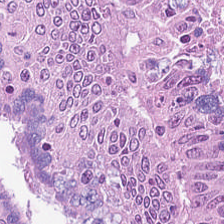Hematoxylin-and-eosin stained section — Classification: adenocarcinoma.
